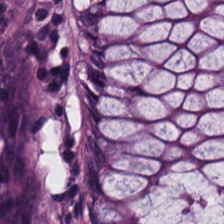H&E. FFPE tissue section — Predominantly benign colonic mucosa.
